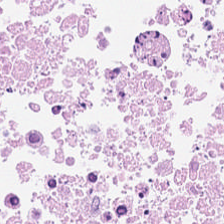224×224 px tile; hematoxylin-and-eosin stained section.
Q: What tissue is shown?
A: The field shows debris.
